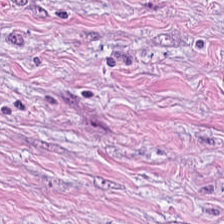Hematoxylin and eosin.
This field is tumor-associated stroma.
